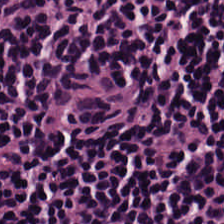Hematoxylin and eosin.
Histology — lymphocyte aggregate.
